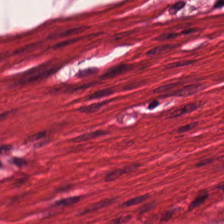Predominantly smooth-muscle tissue.
